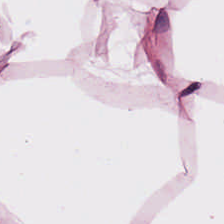Showing adipose.
